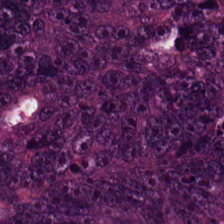Hematoxylin-and-eosin stained section. The tissue type is malignant epithelium.
